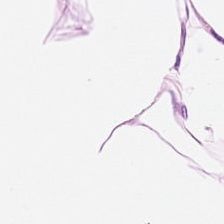H&E.
The tissue type is adipose.
